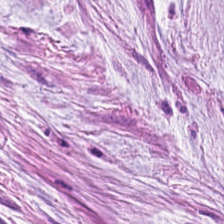Q: What tissue is shown?
A: The field shows mucus.
